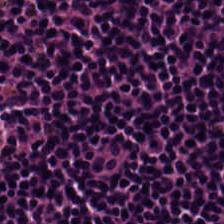Hematoxylin and eosin. 0.5 microns per pixel. 224×224 px patch. The tissue here is lymphocytes.
